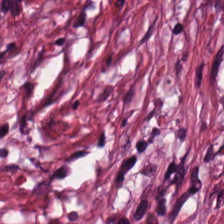H&E — The tissue is tumor-associated stroma.
